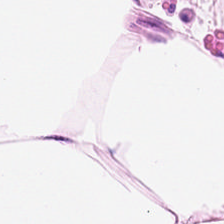H&E-stained tissue section.
The predominant tissue is fat tissue.
